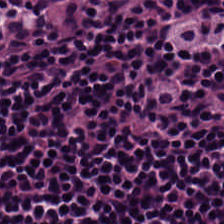Hematoxylin and eosin.
Classification = lymphocyte aggregate.
